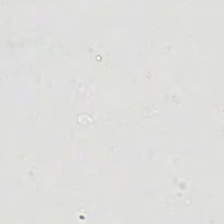Field content: no tissue.
